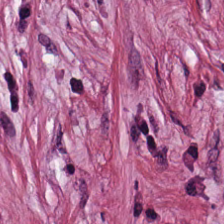H&E stain. Q: Identify the tissue.
A: This is tumor-associated stroma.
